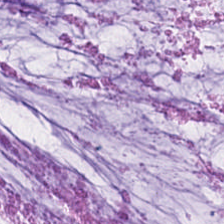Q: Classify this patch.
A: The field shows mucus.
